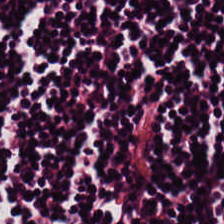20× equivalent magnification; hematoxylin-and-eosin stained section; brightfield microscopy.
Lymphoid infiltrate.
